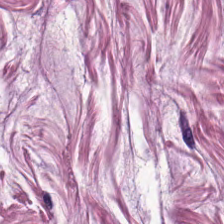H&E stain. Predominant tissue — muscularis.
